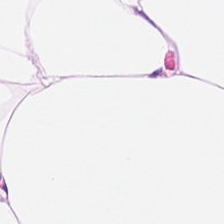H&E. 0.5 µm/px — Finding → adipocytes.
